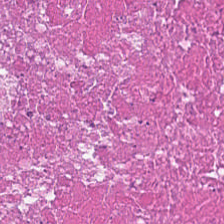Q: What is shown here?
A: Debris.
